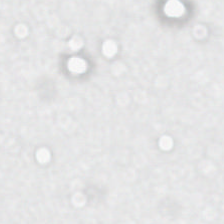FFPE tissue section · 224×224 px tile · hematoxylin-and-eosin stained section.
No tissue present; background only.
